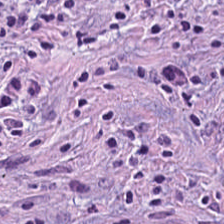Hematoxylin-and-eosin section: tumor stroma.
